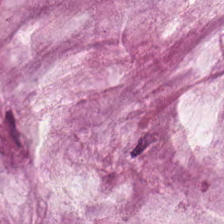20× equivalent magnification · H&E.
{"tissue_type": "mucus"}
